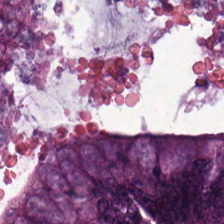Stain: H&E stain.
Tissue: colorectal adenocarcinoma epithelium.
